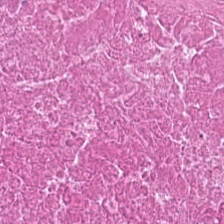Stain: H&E.
Tissue class: cellular debris.
